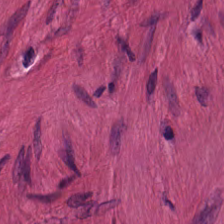224×224 px patch · hematoxylin and eosin — Tissue — smooth-muscle tissue.
